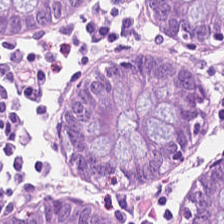Stain: H&E stain.
Acquisition: WSI patch.
Tile size: 224×224 px patch.
Tissue type: normal colonic mucosa.
